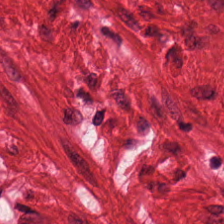H&E — Predominant tissue — muscularis.
